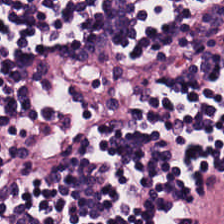Stain: H&E stain.
Tissue: lymphoid infiltrate.
